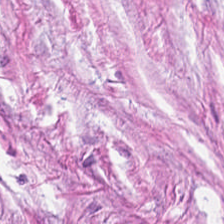224×224 px patch · H&E-stained tissue section · WSI patch.
This field is cancer-associated stroma.
